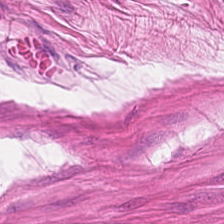H&E stain · 0.5 µm/px. Smooth-muscle tissue.
